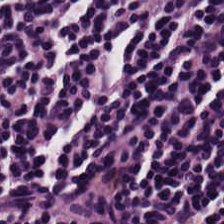FFPE. Hematoxylin and eosin — Showing lymphocytes.
